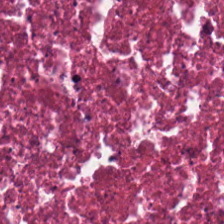Hematoxylin and eosin. Tissue class = debris.
